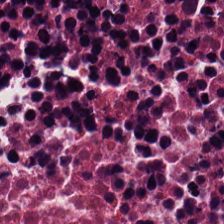H&E stain. 0.5 µm/px. Predominant tissue — debris.
